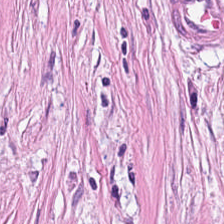The classification is desmoplastic stroma.
